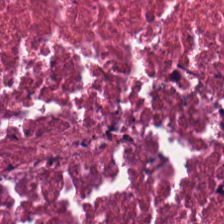20× equivalent magnification; H&E — Tissue class — cellular debris.
